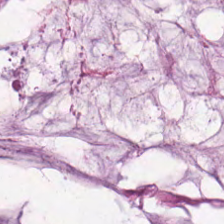Hematoxylin-and-eosin stained section.
Tissue type — mucus.
